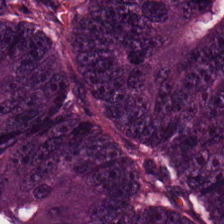H&E · 20× equivalent magnification.
Finding — tumor epithelium.
